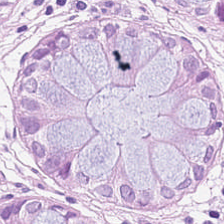224×224 pixel tile. Hematoxylin-and-eosin stained section.
The predominant tissue is benign colonic mucosa.
